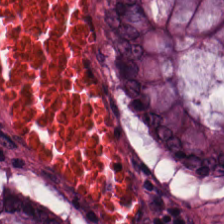0.5 microns per pixel · H&E-stained tissue section · 224×224 pixel tile — Impression — benign colonic mucosa.
